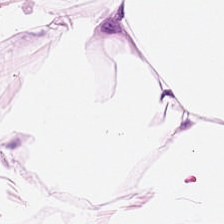H&E. Adipose tissue.
